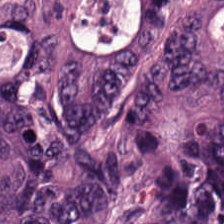Hematoxylin and eosin · brightfield · 224×224 px patch — The predominant tissue is adenocarcinoma.
